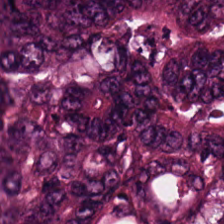Hematoxylin-and-eosin stained section.
Tissue — adenocarcinoma.
